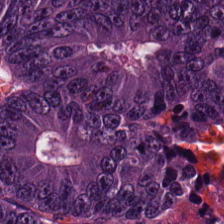Histology → colorectal adenocarcinoma.
